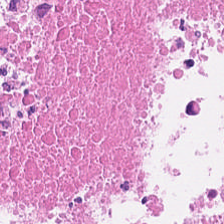H&E-stained tissue section showing debris.
